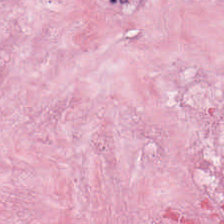Finding → cancer-associated stroma.
